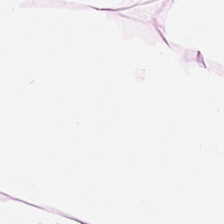Impression → adipocytes.
